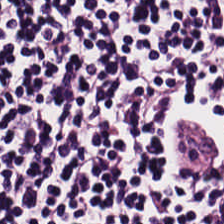Q: What does this patch show?
A: Lymphocytes.
